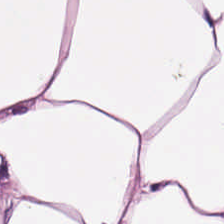H&E stain. FFPE. 224×224 px tile.
This field is fat tissue.
